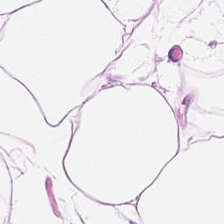Q: What does this patch show?
A: This is adipose.
